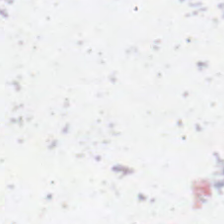224×224 pixel tile · hematoxylin and eosin — Classification — background (no tissue).
